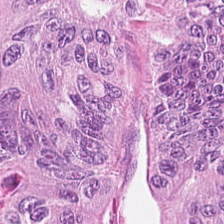Q: Classify this patch.
A: This is tumor epithelium.
